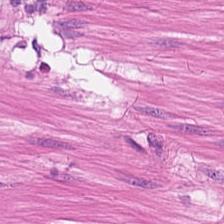Stain: hematoxylin-and-eosin stained section.
Tissue type: muscularis.
